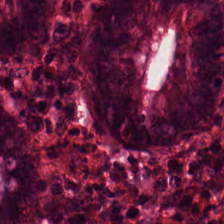Predominantly normal colonic mucosa.
